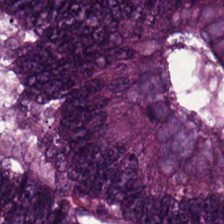Stain: hematoxylin and eosin.
Tissue: tumor epithelium.
